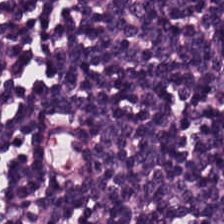{"tissue_type": "lymphocytes"}
